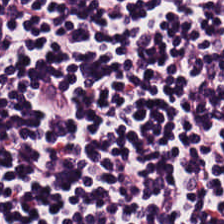Finding → lymphocytic infiltrate.
